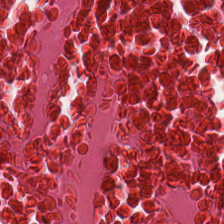H&E-stained tissue section; brightfield microscopy — Impression — necrotic debris.
